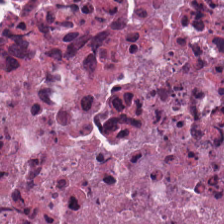Hematoxylin-and-eosin stained section. Classification — cellular debris.
